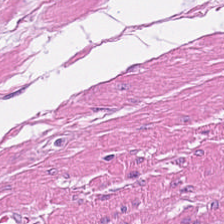This patch shows smooth-muscle tissue.
